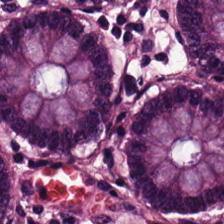224×224 pixel tile · H&E-stained tissue section. Finding → normal colon mucosa.
